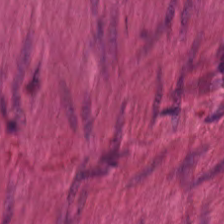Hematoxylin and eosin — The tissue is smooth muscle.
